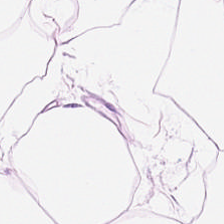Hematoxylin-and-eosin stained section · FFPE tissue section · 0.5 µm per pixel. The predominant tissue is adipose tissue.
